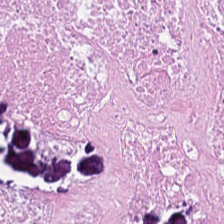H&E · 20× equivalent magnification — Q: What type of tissue is this?
A: It is cellular debris.
